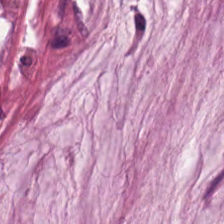Hematoxylin and eosin. Tissue = mucin.
